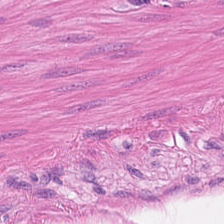Hematoxylin and eosin.
The tissue here is muscularis.
